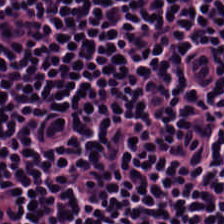Hematoxylin and eosin.
Tissue class — lymphocytes.
